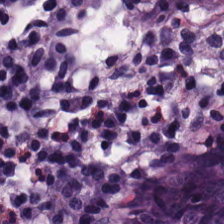Hematoxylin-and-eosin stained section.
Finding → non-neoplastic colon mucosa.
